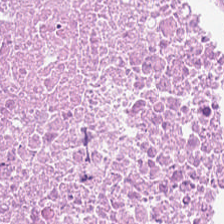H&E. FFPE — Tissue class — debris.
